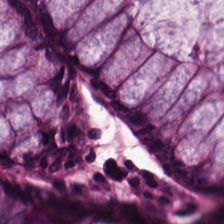H&E. 20× equivalent magnification — The predominant tissue is normal colonic mucosa.
